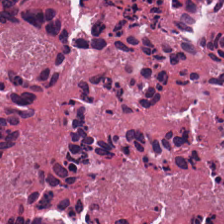Stain: H&E stain.
Resolution: 0.5 µm/px.
Tissue class: debris.
